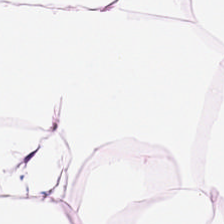224×224 pixel tile; whole-slide-image patch; hematoxylin and eosin.
Impression — adipose tissue.
